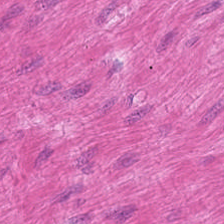H&E · 0.5 µm per pixel — Histology — muscularis.
